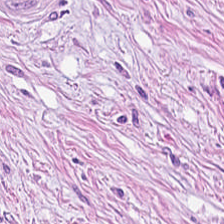FFPE; H&E-stained tissue section; whole-slide-image patch — The tissue type is tumor stroma.
